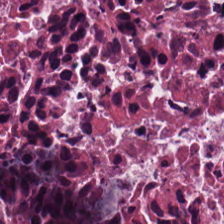224×224 px tile · hematoxylin and eosin — The predominant tissue is necrotic debris.
